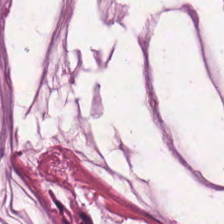Predominantly mucin.
